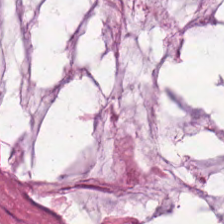224×224 pixel tile · H&E.
The tissue is mucin.
